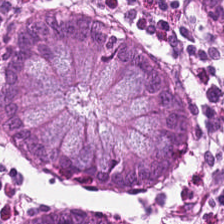H&E. Q: What type of tissue is this?
A: This is benign colonic mucosa.
